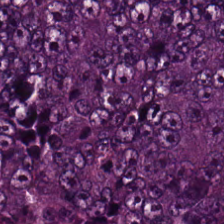H&E stain — Predominantly malignant epithelium.
